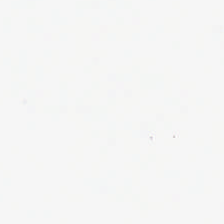Brightfield · hematoxylin and eosin. Impression — no tissue.
